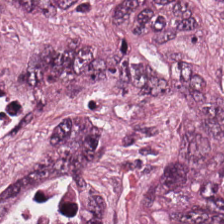H&E stain.
Predominantly tumor epithelium.
